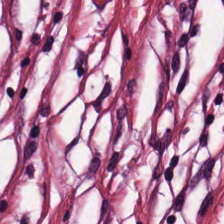224×224 px tile. FFPE. Hematoxylin and eosin. Histology — tumor stroma.
